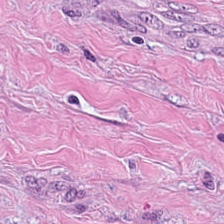WSI patch · hematoxylin and eosin.
The tissue here is cancer-associated stroma.
